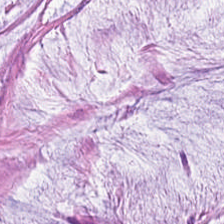Predominant tissue = extracellular mucin.
